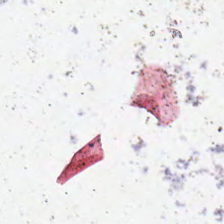H&E stain.
Classification — no tissue.
